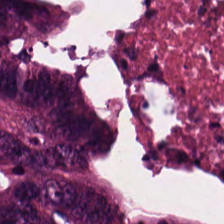H&E-stained tissue section — {"tissue_type": "colorectal adenocarcinoma epithelium"}
